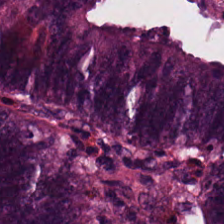Stain: H&E stain.
Acquisition: brightfield microscopy.
Tissue class: colorectal adenocarcinoma.
